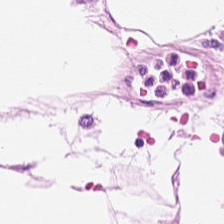Stain: H&E.
Tissue type: adipose tissue.
